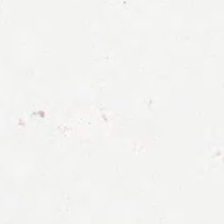Finding — background.
